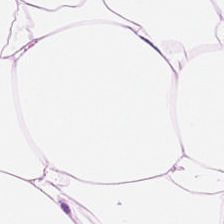Hematoxylin-and-eosin stained section. Tissue class — fat tissue.
